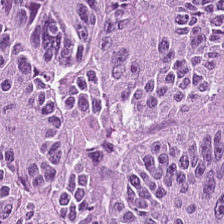Predominantly adenocarcinoma.
